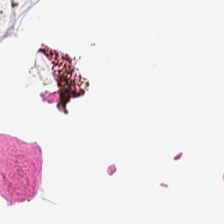Stain: hematoxylin-and-eosin stained section.
Field content: empty background.
